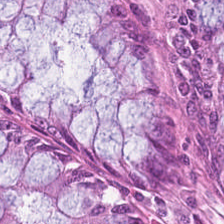Q: Identify the tissue.
A: The field shows benign colonic mucosa.
